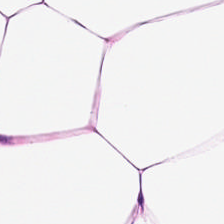H&E. WSI patch — Finding → fat tissue.
